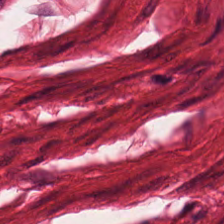H&E-stained tissue section. This field is smooth muscle.
